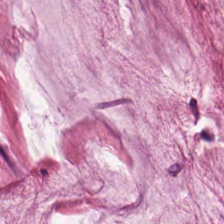Hematoxylin-and-eosin stained section; 0.5 µm/px — The predominant tissue is extracellular mucin.
